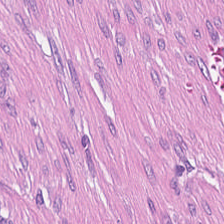H&E stain.
Classification: tumor stroma.
